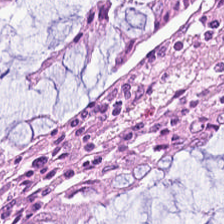Hematoxylin-and-eosin stained section. Showing benign colonic mucosa.
